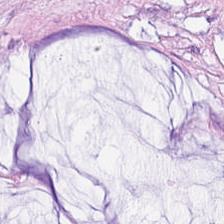Hematoxylin and eosin. The tissue type is extracellular mucin.
